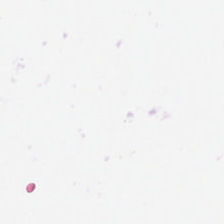Stain: H&E.
Content: background (no tissue).
